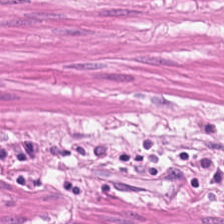Stain: H&E.
Classification: smooth-muscle tissue.
